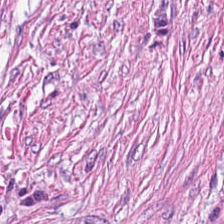Hematoxylin and eosin.
Tissue class = tumor-associated stroma.
